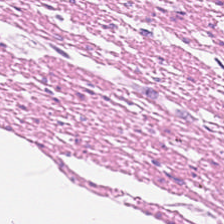H&E.
Tissue class: smooth-muscle tissue.
